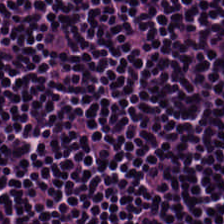Classification = lymphocytes.
